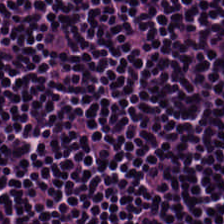Classification = lymphocytes.
